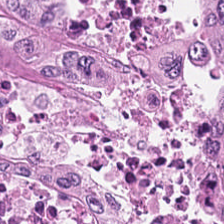H&E-stained tissue section.
Q: Classify this patch.
A: Tumor epithelium.
